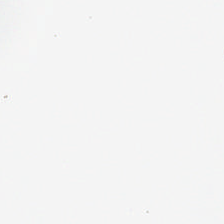Hematoxylin-and-eosin stained section — {"content": "background"}
